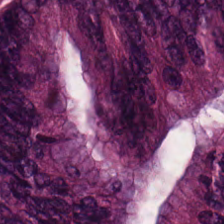Hematoxylin and eosin · FFPE · brightfield.
This patch shows adenocarcinoma.
